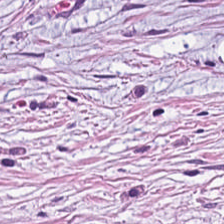Hematoxylin-and-eosin stained section. Brightfield — {"tissue_type": "tumor-associated stroma"}
